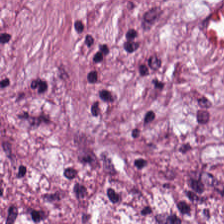Desmoplastic stroma.
